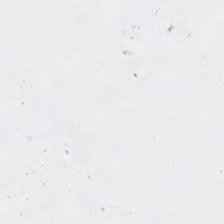Hematoxylin-and-eosin stained section.
No tissue present; background only.
